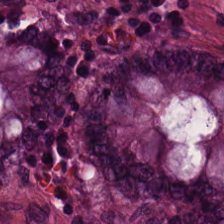Tissue class: benign colonic mucosa.
